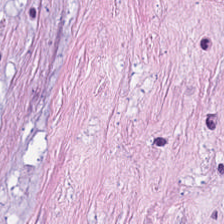Hematoxylin and eosin · FFPE. Classification: tumor stroma.
